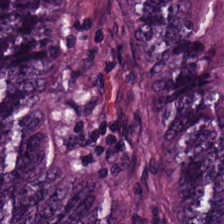H&E-stained tissue section · 20× equivalent magnification · brightfield. This field is malignant epithelium.
